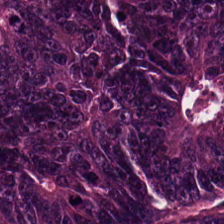WSI patch · H&E · 224×224 px tile. Colorectal adenocarcinoma.
